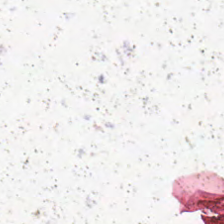Hematoxylin and eosin — This patch shows background.
